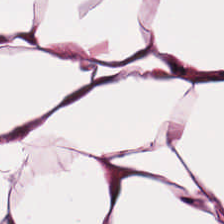0.5 µm per pixel; hematoxylin and eosin. Showing adipocytes.
